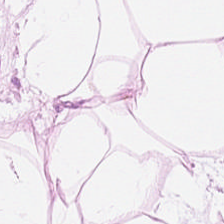Hematoxylin-and-eosin stained section — Histology — adipose tissue.
